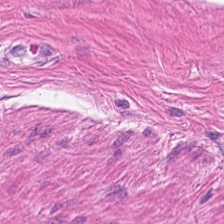Stain: hematoxylin and eosin.
Classification: muscularis.
